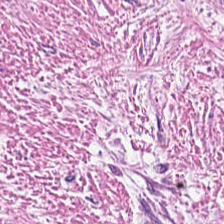Hematoxylin-and-eosin stained section. 0.5 µm/px. The predominant tissue is tumor stroma.
